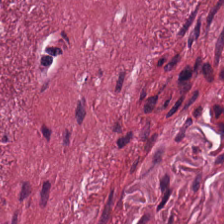Hematoxylin and eosin; 224×224 pixel tile; 0.5 µm per pixel — Predominant tissue — cancer-associated stroma.
